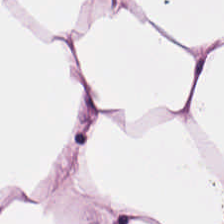H&E-stained tissue section.
Q: What type of tissue is this?
A: The field shows adipocytes.
